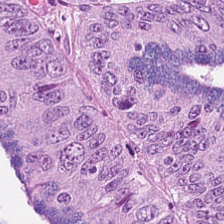0.5 µm/px · WSI patch · hematoxylin and eosin. {"tissue_type": "colorectal adenocarcinoma epithelium"}
